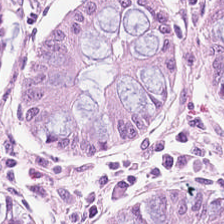H&E stain. 224×224 pixel tile. Brightfield microscopy. The tissue here is non-neoplastic colon mucosa.
